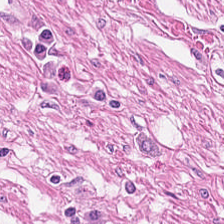H&E — muscularis.
